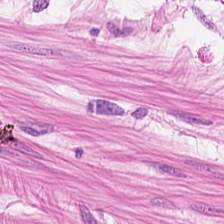H&E stain. Q: What tissue is shown?
A: The field shows smooth muscle.
